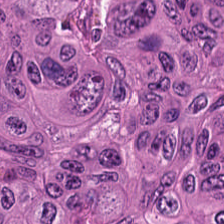Formalin-fixed paraffin-embedded section; H&E stain — Histology — malignant epithelium.
